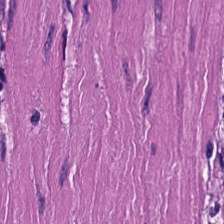0.5 µm/px · H&E stain. Showing muscularis.
